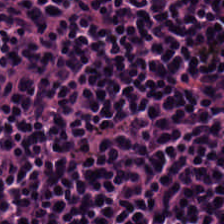H&E-stained tissue section — Tissue type: lymphocytic infiltrate.
